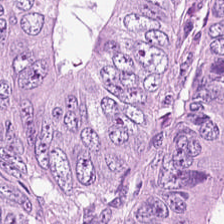Hematoxylin-and-eosin stained section. Tissue: colorectal adenocarcinoma.
